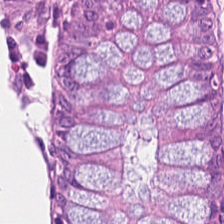Predominantly normal colon mucosa.
